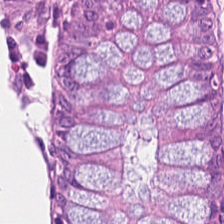Predominantly normal colon mucosa.
